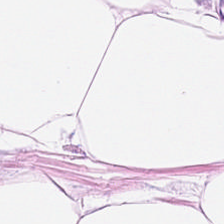FFPE. Hematoxylin and eosin. Showing fat tissue.
